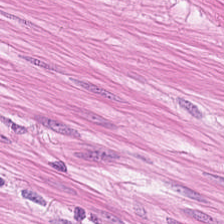The tissue here is muscularis.
